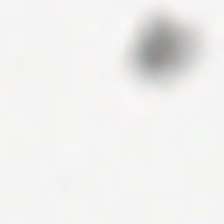224×224 pixel tile. H&E-stained tissue section — This field is background (no tissue).
